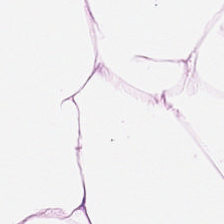0.5 µm per pixel. Brightfield microscopy. H&E stain. Tissue type = adipocytes.
